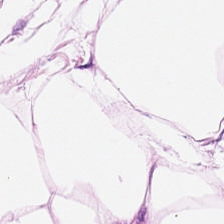Formalin-fixed paraffin-embedded section · WSI patch · H&E-stained tissue section. Q: What is shown in this field?
A: This is fat tissue.
